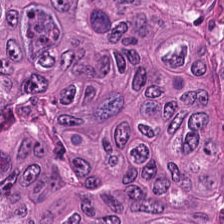H&E stain. This field is colorectal adenocarcinoma epithelium.
